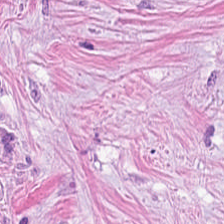Hematoxylin and eosin · formalin-fixed paraffin-embedded section.
Q: What is shown here?
A: This is desmoplastic stroma.
